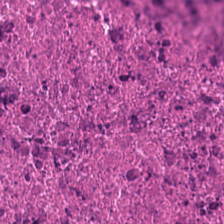Hematoxylin and eosin — Tissue = necrotic debris.
